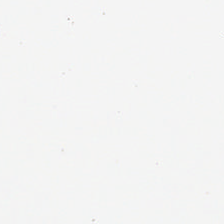Hematoxylin and eosin. Background — no tissue in this field.
